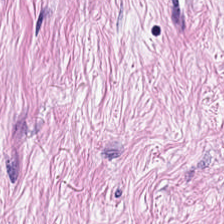20× equivalent magnification · hematoxylin and eosin.
{"tissue_type": "tumor-associated stroma"}
